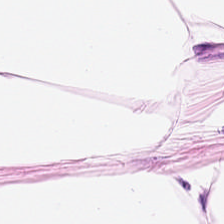Stain: H&E stain.
Acquisition: whole-slide-image patch.
Tissue type: adipose tissue.
